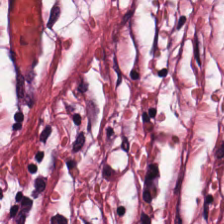Stain: hematoxylin-and-eosin stained section.
Predominant tissue: desmoplastic stroma.
